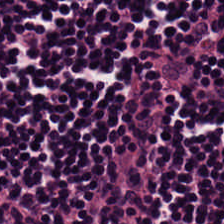Formalin-fixed paraffin-embedded section. Hematoxylin and eosin. This field is lymphocytes.
